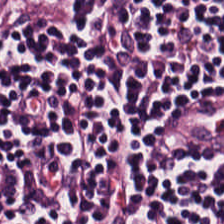{"tissue_type": "lymphoid infiltrate"}
